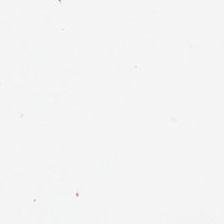The content is background (no tissue).
